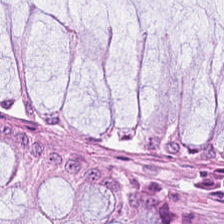FFPE. Hematoxylin and eosin. 224×224 px tile.
This field is non-neoplastic colon mucosa.
